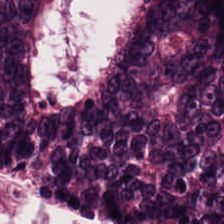Hematoxylin and eosin.
Impression → tumor epithelium.
